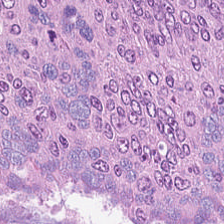Brightfield microscopy · hematoxylin-and-eosin stained section. The tissue here is colorectal adenocarcinoma.
